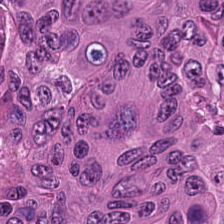H&E stain. The classification is adenocarcinoma.
